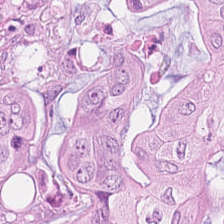H&E stain. Brightfield microscopy — Classification — colorectal adenocarcinoma epithelium.
